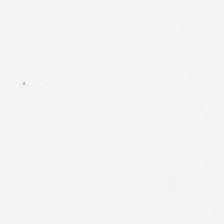Hematoxylin and eosin. 0.5 µm per pixel. Formalin-fixed paraffin-embedded section. Histology → background.
